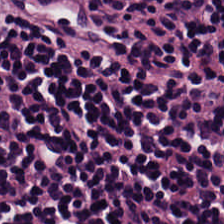Formalin-fixed paraffin-embedded section. 224×224 px tile. H&E-stained tissue section. The tissue type is lymphocyte aggregate.
